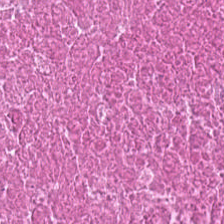Hematoxylin and eosin.
This patch shows necrotic debris.
